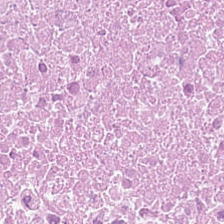H&E-stained tissue section. The predominant tissue is necrotic debris.
